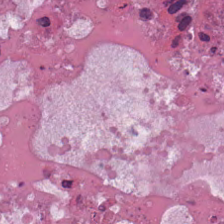H&E stain · FFPE tissue section. Q: What does this patch show?
A: This is debris.
